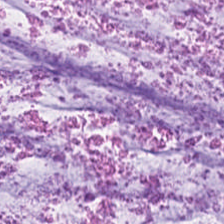0.5 microns per pixel; FFPE tissue section; H&E-stained tissue section.
{"tissue_type": "mucus"}
